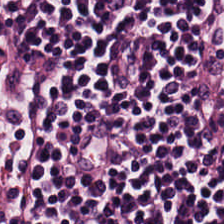Hematoxylin-and-eosin stained section. 224×224 px patch — Predominantly lymphocyte aggregate.
